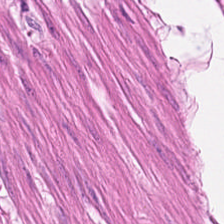Stain: hematoxylin and eosin.
Predominant tissue: muscularis.
